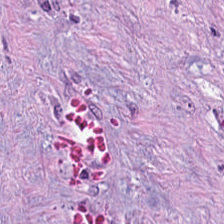{"tissue_type": "desmoplastic stroma"}
